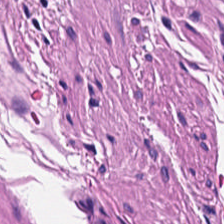Tissue type — muscularis.
